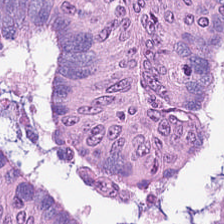Q: What type of tissue is this?
A: The field shows tumor epithelium.
